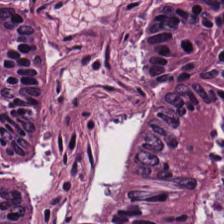Stain: H&E-stained tissue section.
Preparation: formalin-fixed paraffin-embedded section.
Classification: tumor epithelium.
